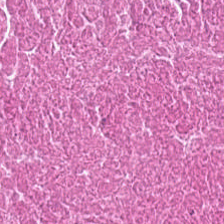H&E-stained tissue section showing debris.
